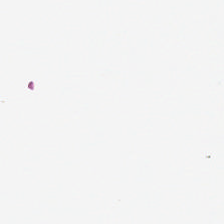Stain: hematoxylin-and-eosin stained section.
Classification: background (no tissue).
